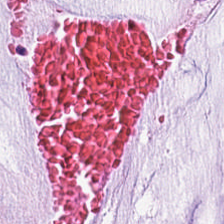H&E — Histology → mucus.
